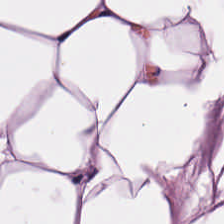H&E-stained tissue section showing adipocytes.
